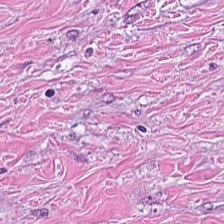Hematoxylin and eosin. The tissue is desmoplastic stroma.
